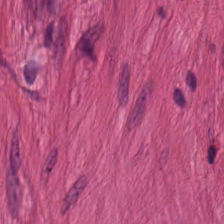H&E. The tissue type is smooth-muscle tissue.
